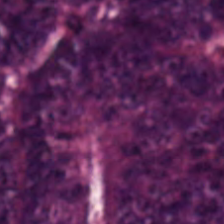Stain: H&E.
Resolution: 20× equivalent magnification.
Classification: malignant epithelium.
